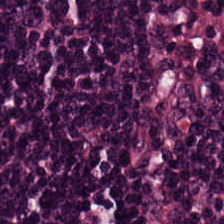Q: What tissue type is shown here?
A: The field shows lymphoid infiltrate.
